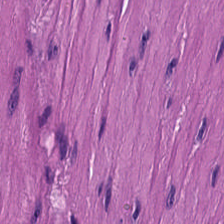H&E.
This patch shows muscularis.
